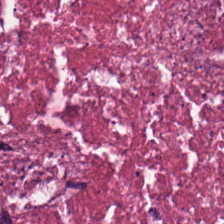H&E stain.
Cellular debris.
